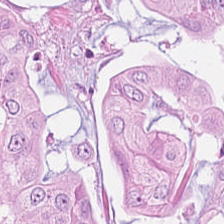224×224 px tile · H&E-stained tissue section · brightfield. Histology → colorectal adenocarcinoma epithelium.
